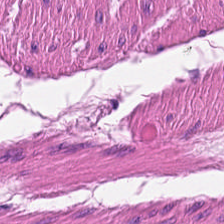Histology → smooth-muscle tissue.
